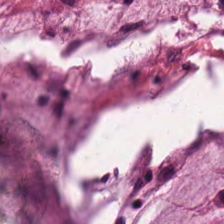Brightfield. Hematoxylin-and-eosin stained section. 224×224 px patch — Q: Classify this patch.
A: The field shows mucin.
